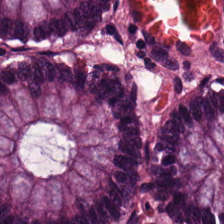Hematoxylin and eosin. The predominant tissue is normal colon mucosa.
